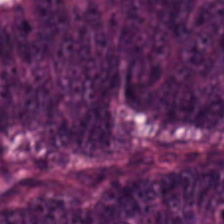Predominant tissue = tumor epithelium.
